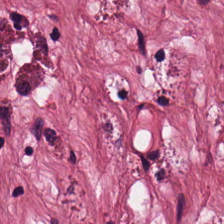0.5 µm/px · 224×224 px tile · hematoxylin and eosin. Classification = cancer-associated stroma.
